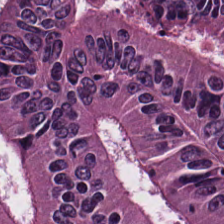H&E stain.
Q: What type of tissue is this?
A: It is malignant epithelium.
